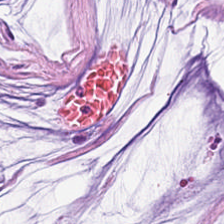Showing extracellular mucin.
